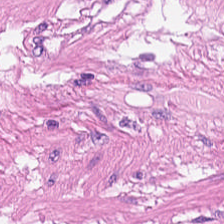This patch shows smooth muscle.
